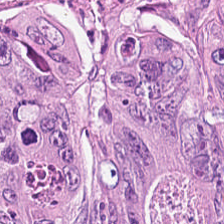Stain: hematoxylin and eosin.
Acquisition: brightfield.
Classification: colorectal adenocarcinoma epithelium.
